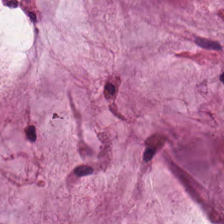Hematoxylin-and-eosin stained section; FFPE tissue section; 0.5 µm per pixel. Q: What tissue type is shown here?
A: It is extracellular mucin.
